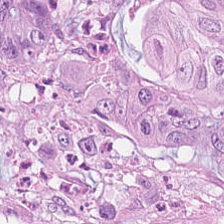H&E · 224×224 pixel tile · whole-slide-image patch — Showing tumor epithelium.
